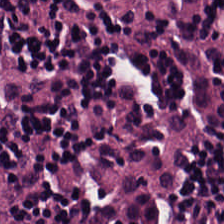Histology → lymphoid infiltrate.
